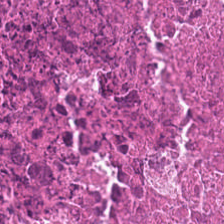H&E; 0.5 µm/px.
This field is cellular debris.
